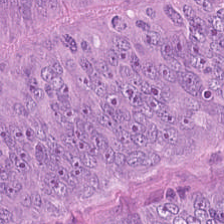H&E-stained tissue section.
Tissue type — tumor epithelium.
